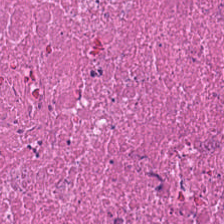H&E stain — Predominantly necrotic debris.
